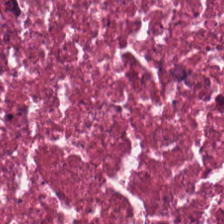Hematoxylin-and-eosin stained section; 0.5 µm per pixel.
The predominant tissue is necrotic debris.
